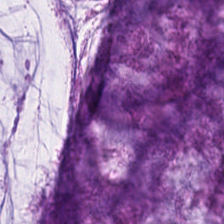FFPE; H&E stain; 0.5 microns per pixel — The tissue here is extracellular mucin.
